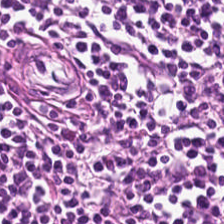Hematoxylin and eosin.
Predominant tissue — lymphocyte aggregate.
